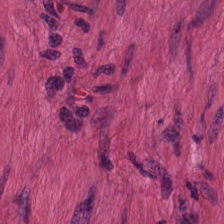H&E stain. Brightfield microscopy. 20× equivalent magnification.
Q: What is shown here?
A: It is smooth muscle.
